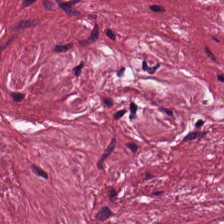0.5 µm per pixel; hematoxylin-and-eosin stained section.
Tissue type — desmoplastic stroma.
